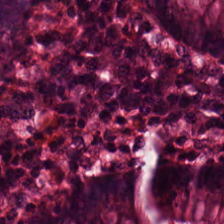Hematoxylin-and-eosin stained section — Tissue class — normal colonic mucosa.
